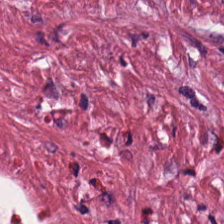H&E-stained tissue section.
This patch shows desmoplastic stroma.
